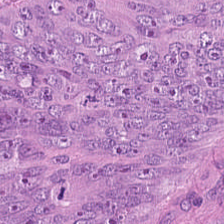This field is tumor epithelium.
